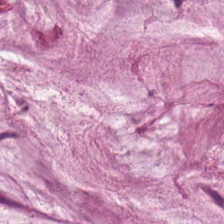Hematoxylin and eosin. This field is mucus.
